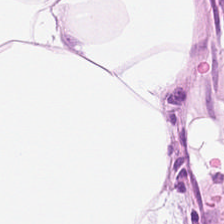WSI patch. Hematoxylin-and-eosin stained section — This patch shows fat tissue.
